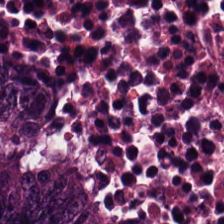H&E stain · whole-slide-image patch.
Predominant tissue — colorectal adenocarcinoma.
